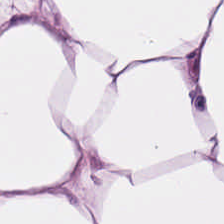H&E-stained tissue section showing adipocytes.
